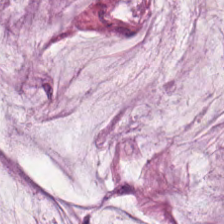Hematoxylin-and-eosin stained section. Tissue type: mucus.
